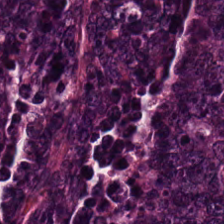H&E stain — Predominantly malignant epithelium.
